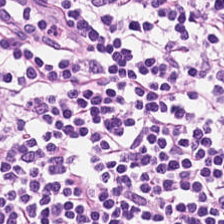Hematoxylin-and-eosin stained section; brightfield microscopy. This patch shows lymphoid infiltrate.
